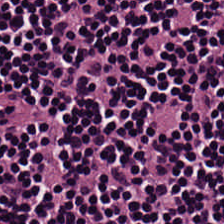H&E stain · brightfield microscopy. Lymphocytic infiltrate.
